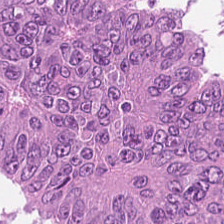H&E-stained section; the field shows tumor epithelium.
